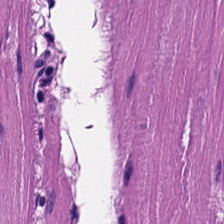Hematoxylin and eosin. Finding → smooth-muscle tissue.
